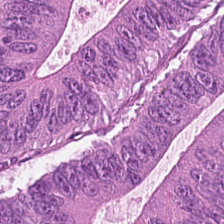WSI patch · hematoxylin-and-eosin stained section.
The tissue type is adenocarcinoma.
